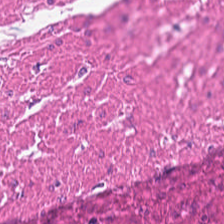Hematoxylin-and-eosin stained section. WSI patch. FFPE — {"tissue_type": "smooth-muscle tissue"}
